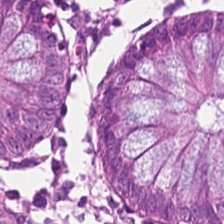Hematoxylin and eosin.
Tissue type: normal colonic mucosa.
